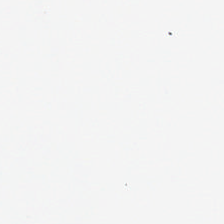This patch shows background.
